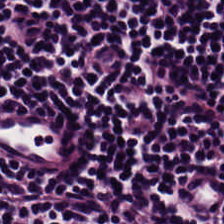Hematoxylin and eosin — Q: What tissue type is shown here?
A: The field shows lymphocytic infiltrate.
